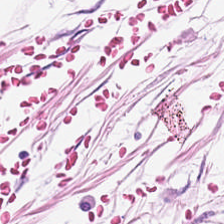Hematoxylin-and-eosin stained section — Tissue: adipose tissue.
